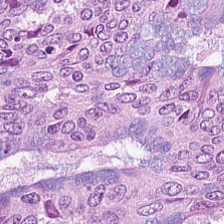Hematoxylin and eosin. Finding → colorectal adenocarcinoma.
